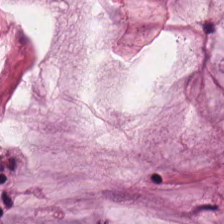H&E stain. This field is mucin.
